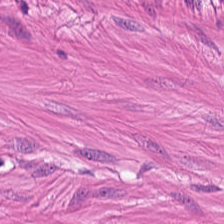H&E. Predominant tissue: smooth muscle.
